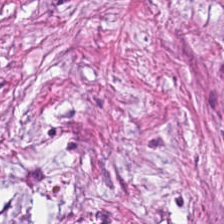Stain: H&E-stained tissue section.
Resolution: 20× equivalent magnification.
Preparation: FFPE tissue section.
Classification: tumor stroma.
